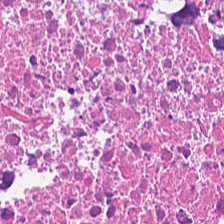H&E stain. 20× equivalent magnification. Q: What type of tissue is this?
A: It is debris.
